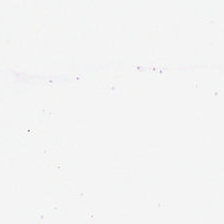H&E-stained tissue section; 224×224 pixel tile. Finding — empty background.
